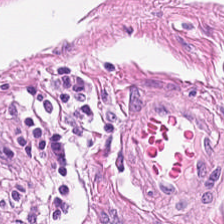Q: What type of tissue is this?
A: Smooth muscle.
